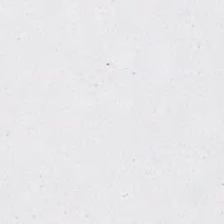0.5 µm per pixel. Hematoxylin and eosin. 224×224 pixel tile.
Q: What is shown in this field?
A: This is empty background.
